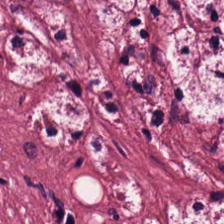H&E.
This patch shows tumor-associated stroma.
